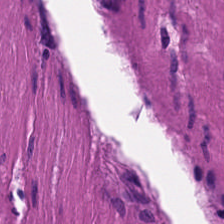Hematoxylin and eosin; FFPE tissue section — Predominantly smooth-muscle tissue.
